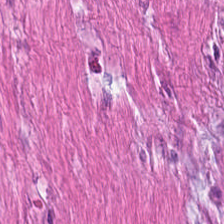Stain: H&E-stained tissue section.
Tissue: muscularis.
